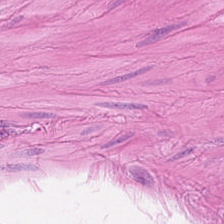Hematoxylin-and-eosin stained section. 224×224 pixel tile. FFPE tissue section — Tissue type = smooth muscle.
